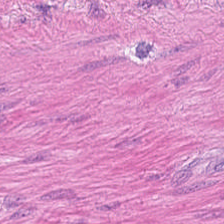The predominant tissue is muscularis.
